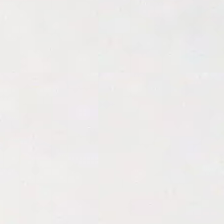Stain: H&E stain.
Classification: background.
